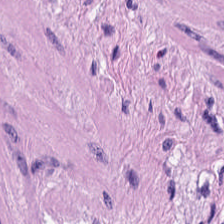Predominant tissue — muscularis.
